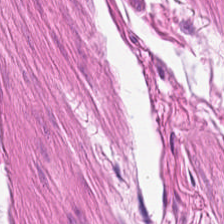0.5 microns per pixel; hematoxylin-and-eosin stained section; 224×224 px tile.
Finding → muscularis.
